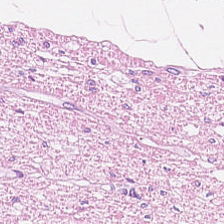224×224 px patch · H&E stain.
Predominant tissue: smooth-muscle tissue.
